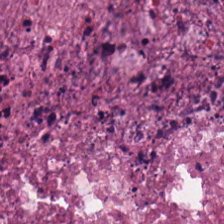H&E-stained tissue section. Q: What is shown in this field?
A: This is necrotic debris.
